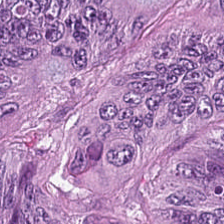224×224 pixel tile; hematoxylin and eosin; FFPE. Q: What tissue is shown?
A: It is malignant epithelium.
